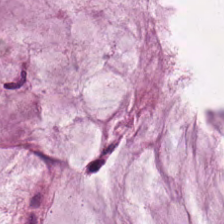Brightfield microscopy; H&E — Tissue class — extracellular mucin.
